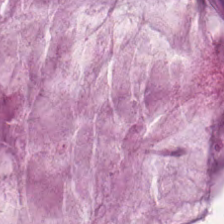Stain: hematoxylin-and-eosin stained section.
Acquisition: WSI patch.
Preparation: FFPE tissue section.
Tissue type: mucin.
